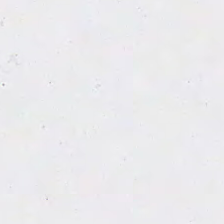Hematoxylin-and-eosin stained section — The classification is background (no tissue).
